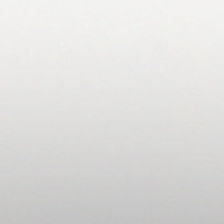Classification — background (no tissue).
